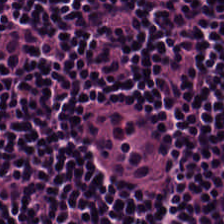H&E.
Q: Classify this patch.
A: The field shows lymphocytes.
